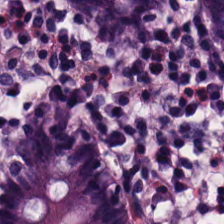Normal colonic mucosa.
